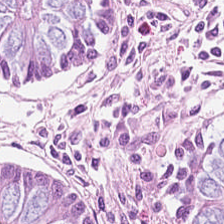H&E-stained tissue section. {"tissue_type": "normal colon mucosa"}
